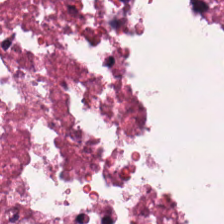0.5 µm/px · hematoxylin-and-eosin stained section — The tissue here is debris.
